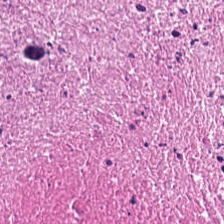0.5 µm per pixel · hematoxylin and eosin. This patch shows debris.
